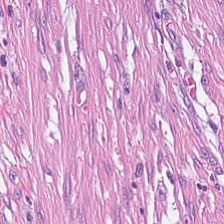Predominant tissue = desmoplastic stroma.
